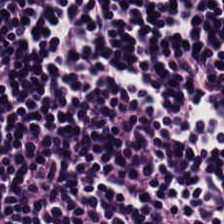Impression — lymphocyte aggregate.
